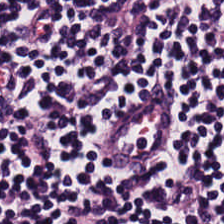H&E-stained tissue section; 20× equivalent magnification — Q: What type of tissue is this?
A: This is lymphoid infiltrate.
